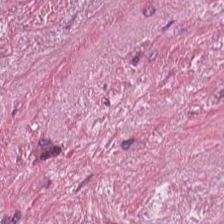H&E stain.
Q: What tissue is shown?
A: This is tumor-associated stroma.
